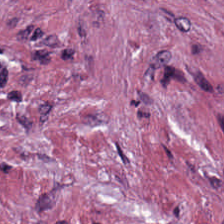H&E-stained tissue section.
Finding — tumor-associated stroma.
